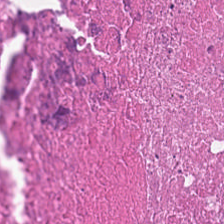H&E-stained section; the field shows cellular debris.
